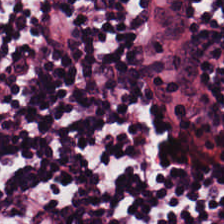224×224 px tile · 0.5 µm per pixel · hematoxylin-and-eosin stained section. Tissue class = lymphocytic infiltrate.
